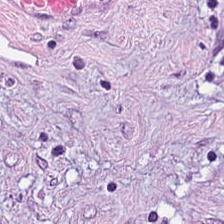This field is tumor-associated stroma.
